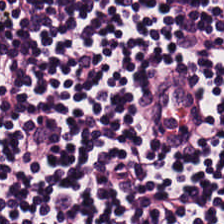Hematoxylin-and-eosin stained section. The predominant tissue is lymphocytic infiltrate.
